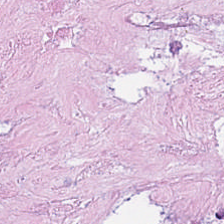Hematoxylin-and-eosin stained section; FFPE tissue section.
Q: What type of tissue is this?
A: Cellular debris.
